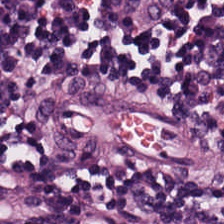Stain: hematoxylin and eosin.
Tissue: lymphoid infiltrate.
